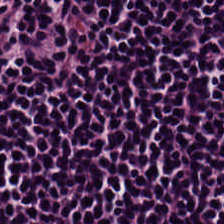Hematoxylin and eosin. The tissue type is lymphoid infiltrate.
